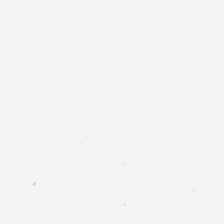H&E-stained tissue section — Histology — background (no tissue).
